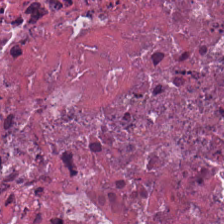Hematoxylin and eosin.
Q: What tissue type is shown here?
A: The field shows cellular debris.
